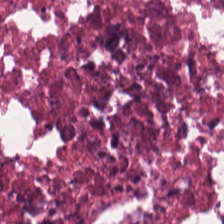Cellular debris.
